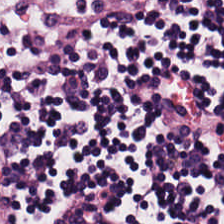0.5 µm per pixel · H&E.
The tissue type is lymphocyte aggregate.
